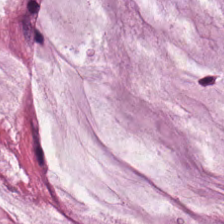H&E stain; whole-slide-image patch.
The tissue here is mucin.
